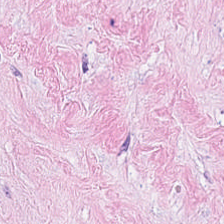FFPE · hematoxylin-and-eosin stained section — Cancer-associated stroma.
